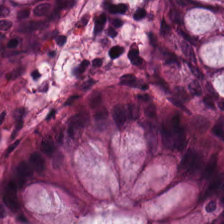H&E-stained tissue section — Q: Identify the tissue.
A: The field shows benign colonic mucosa.
